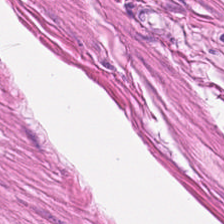H&E.
Predominantly smooth-muscle tissue.
